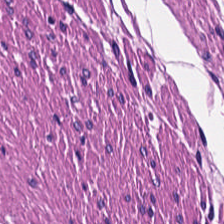Stain: hematoxylin and eosin.
Tissue: smooth muscle.
